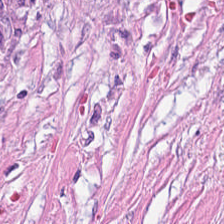Q: What does this patch show?
A: This is tumor stroma.
